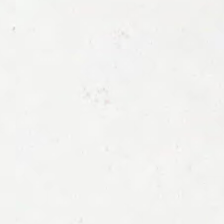{"content": "background (no tissue)"}
